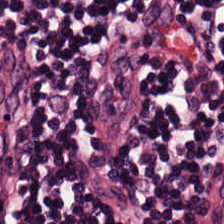Q: Identify the tissue.
A: Lymphocytic infiltrate.
